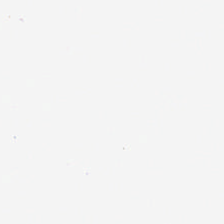224×224 pixel tile · hematoxylin-and-eosin stained section — Empty field — no tissue.
